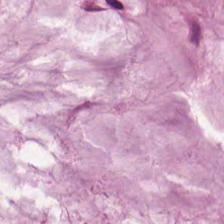Stain: hematoxylin and eosin.
Preparation: FFPE.
Tissue type: extracellular mucin.
